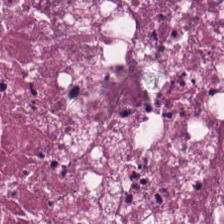Hematoxylin-and-eosin stained section; 0.5 microns per pixel. Classification = cellular debris.
